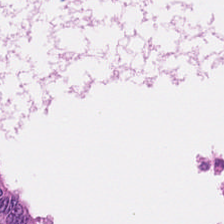Hematoxylin-and-eosin stained section. Impression — malignant epithelium.
